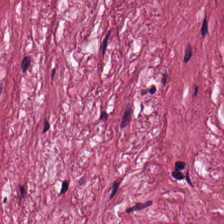224×224 px patch; hematoxylin and eosin; 20× equivalent magnification — Predominant tissue — tumor stroma.
